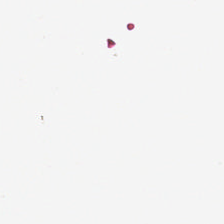H&E-stained tissue section — Background — no tissue in this field.
